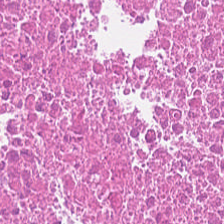H&E-stained section; the field shows necrotic debris.
